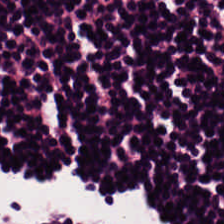Stain: hematoxylin-and-eosin stained section.
Tissue type: lymphocytes.
